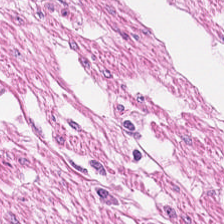H&E stain. Predominantly smooth muscle.
